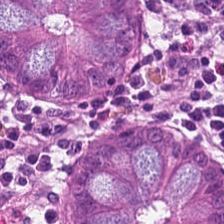H&E stain.
{"tissue_type": "benign colonic mucosa"}
